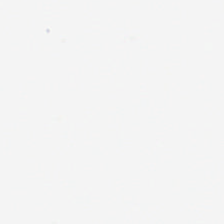H&E-stained tissue section; 224×224 px patch. This patch shows empty background.
